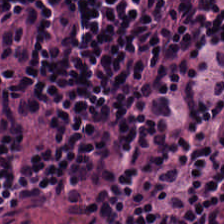WSI patch. Hematoxylin and eosin — Q: Identify the tissue.
A: It is lymphocytic infiltrate.
